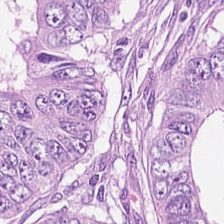H&E-stained tissue section · 0.5 µm/px · 224×224 px tile. Adenocarcinoma.
